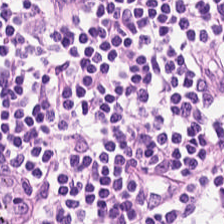224×224 px tile · H&E. The tissue is lymphocyte aggregate.
